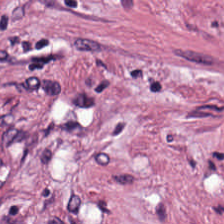H&E — Impression — desmoplastic stroma.
